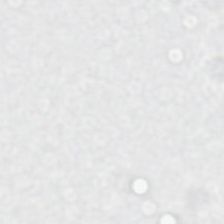Stain: hematoxylin-and-eosin stained section.
Resolution: 0.5 µm per pixel.
Preparation: formalin-fixed paraffin-embedded section.
Content: background (no tissue).
